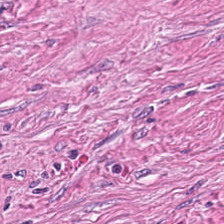Hematoxylin-and-eosin stained section.
This field is cancer-associated stroma.
